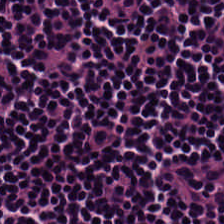Stain: H&E stain.
Tissue: lymphoid infiltrate.
